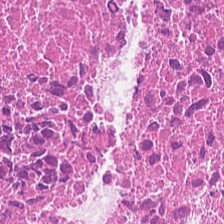Hematoxylin and eosin. Histology → debris.
